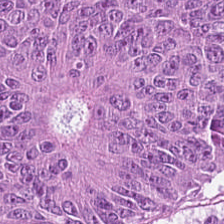Hematoxylin-and-eosin stained section · 224×224 pixel tile. The predominant tissue is colorectal adenocarcinoma epithelium.
